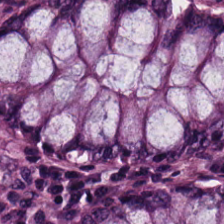H&E; FFPE. Classification = non-neoplastic colon mucosa.
